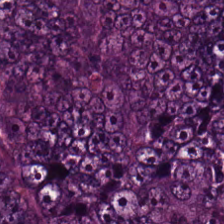0.5 µm/px; H&E-stained tissue section — Q: What tissue type is shown here?
A: The field shows colorectal adenocarcinoma.
